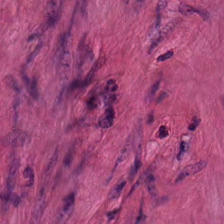Formalin-fixed paraffin-embedded section. Hematoxylin-and-eosin stained section — Q: What type of tissue is this?
A: The field shows smooth-muscle tissue.
